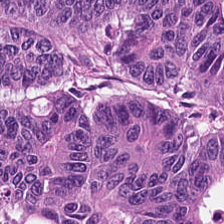224×224 px patch. Hematoxylin-and-eosin stained section. FFPE.
Q: What is the predominant tissue type?
A: The field shows colorectal adenocarcinoma.
